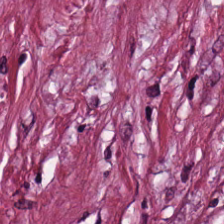FFPE; H&E-stained tissue section. Showing tumor stroma.
